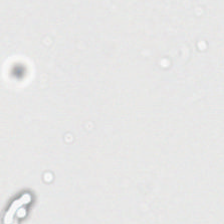Hematoxylin-and-eosin stained section — The classification is background (no tissue).
